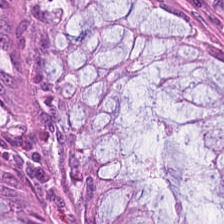0.5 µm per pixel. Hematoxylin-and-eosin stained section. Formalin-fixed paraffin-embedded section.
The tissue here is non-neoplastic colon mucosa.
